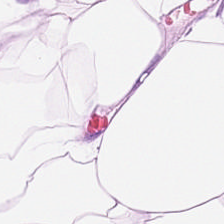224×224 px patch. H&E-stained tissue section — Impression → adipose.
